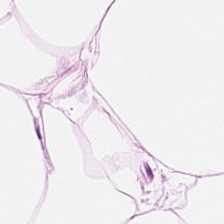224×224 pixel tile · H&E stain.
Fat tissue.
